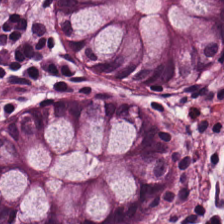H&E-stained tissue section. 0.5 microns per pixel.
The tissue here is benign colonic mucosa.
